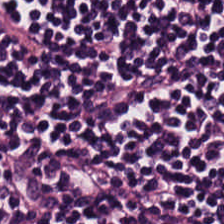Hematoxylin and eosin. Tissue class: lymphocytes.
